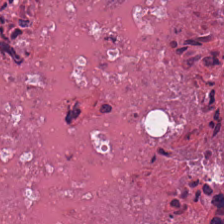Classification: debris.
